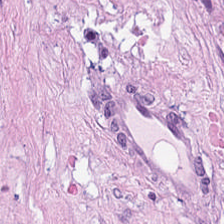H&E stain. Tissue type: desmoplastic stroma.
